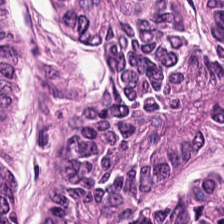Hematoxylin-and-eosin stained section — Finding → adenocarcinoma.
